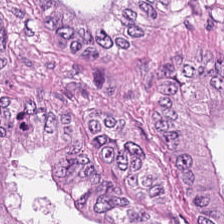H&E-stained tissue section.
The tissue here is malignant epithelium.
